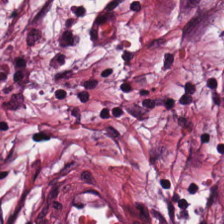Predominantly cancer-associated stroma.
